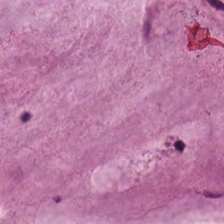H&E. This field is mucin.
